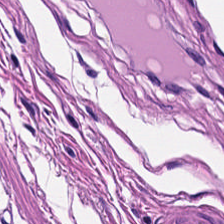H&E. Histology → smooth-muscle tissue.
